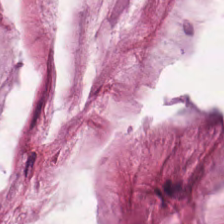Stain: H&E-stained tissue section.
Tissue: mucus.
